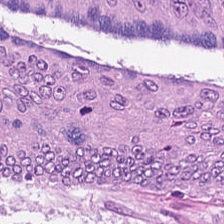224×224 px tile · H&E-stained tissue section. Impression → adenocarcinoma.
